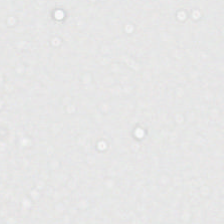Brightfield. H&E stain.
Histology → background.
